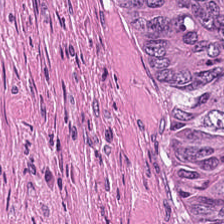Stain: hematoxylin and eosin.
Tissue class: debris.
